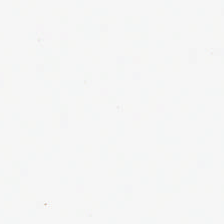Background — no tissue in this field.
